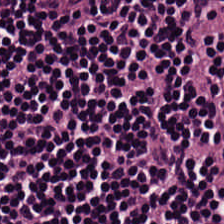H&E; FFPE tissue section; brightfield — Q: Classify this patch.
A: The field shows lymphocytes.
